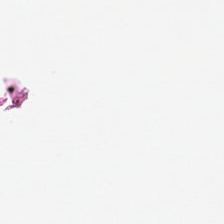Stain: hematoxylin-and-eosin stained section.
Field content: background.
